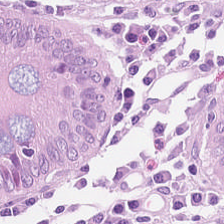H&E-stained tissue section.
Tissue: non-neoplastic colon mucosa.
